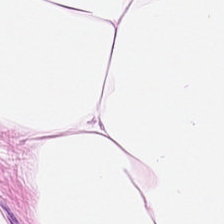H&E stain. WSI patch. Formalin-fixed paraffin-embedded section — The predominant tissue is adipose tissue.
